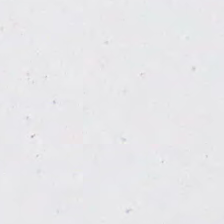Field content — background (no tissue).
